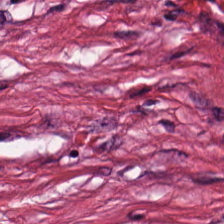Hematoxylin-and-eosin stained section; brightfield.
Finding → desmoplastic stroma.
